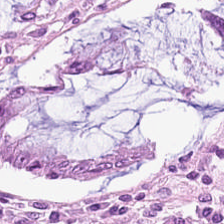H&E — Histology → normal colonic mucosa.
